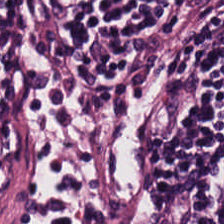H&E — The predominant tissue is lymphoid infiltrate.
